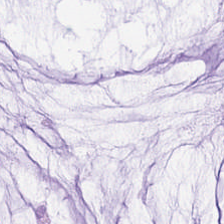H&E-stained tissue section; 20× equivalent magnification. This patch shows mucus.
